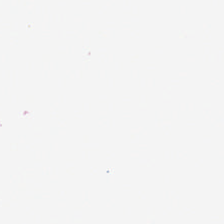H&E stain. Finding → no tissue.
